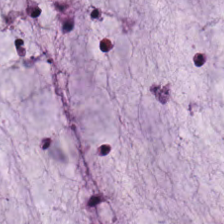H&E-stained tissue section — Predominant tissue: mucus.
